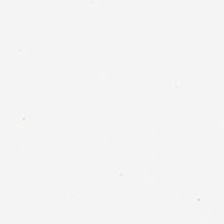H&E — Empty field — no tissue.
